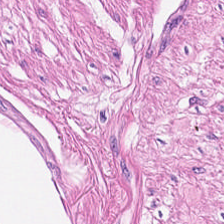H&E stain. 20× equivalent magnification — This patch shows muscularis.
